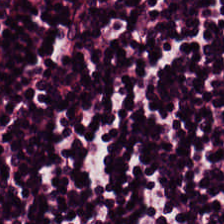The tissue here is lymphocyte aggregate.
